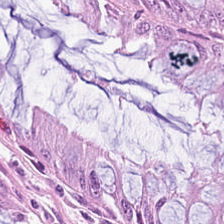Stain: H&E stain.
Predominant tissue: non-neoplastic colon mucosa.
